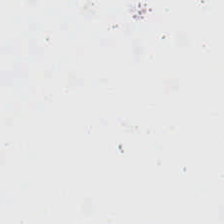H&E-stained tissue section — The content is background.
